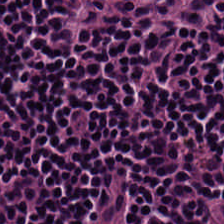Stain: H&E-stained tissue section.
Tissue class: lymphocytes.
